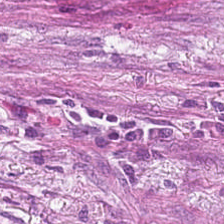Whole-slide-image patch · 224×224 pixel tile · hematoxylin-and-eosin stained section. The tissue here is tumor-associated stroma.
